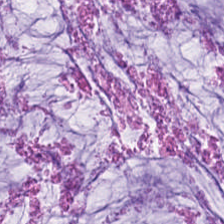Predominantly mucus.
